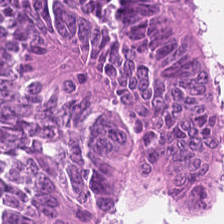Hematoxylin-and-eosin stained section — Q: Classify this patch.
A: Colorectal adenocarcinoma epithelium.
